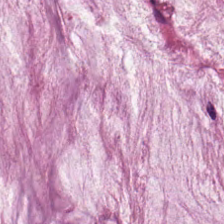H&E stain.
Extracellular mucin.
